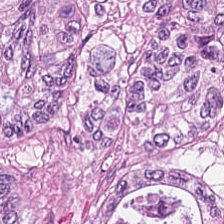Stain: hematoxylin and eosin.
Tile size: 224×224 pixel tile.
Tissue: malignant epithelium.
